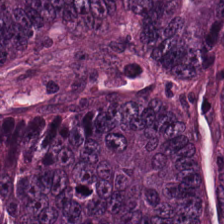Brightfield microscopy. H&E-stained tissue section — Finding → colorectal adenocarcinoma epithelium.
